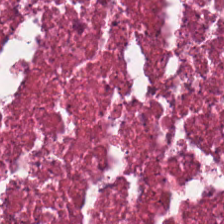Stain: hematoxylin-and-eosin stained section.
Classification: cellular debris.
